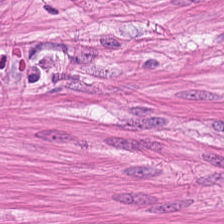Hematoxylin-and-eosin stained section; WSI patch — The tissue class is muscularis.
